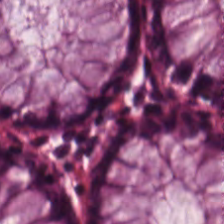H&E stain.
The tissue here is benign colonic mucosa.
